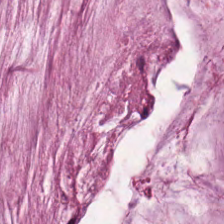Stain: H&E stain.
Acquisition: brightfield.
Tile size: 224×224 px patch.
Tissue type: mucus.
